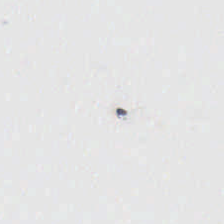H&E stain; 20× equivalent magnification; 224×224 px patch. No tissue.
